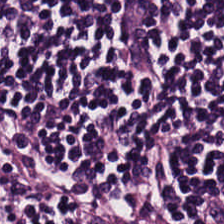This patch shows lymphocytes.
